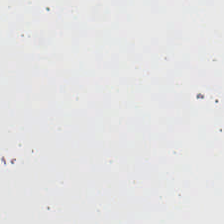The field content is no tissue.
